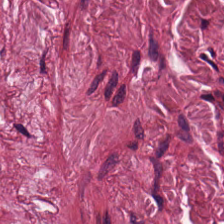FFPE tissue section; H&E — Impression — desmoplastic stroma.
